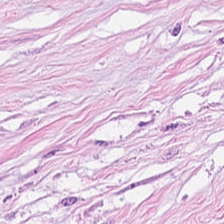The tissue is desmoplastic stroma.
